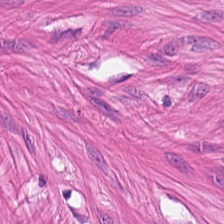Hematoxylin-and-eosin stained section — The tissue here is muscularis.
